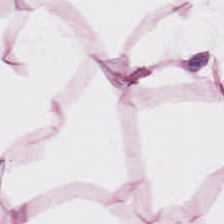H&E — adipocytes.
